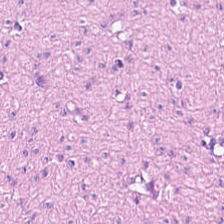Stain: H&E stain.
Preparation: FFPE.
Predominant tissue: muscularis.
